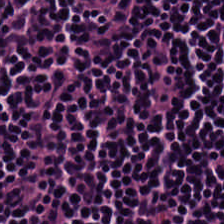This field is lymphocyte aggregate.
